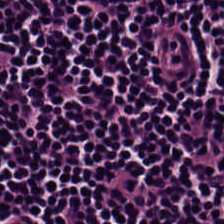Showing lymphoid infiltrate.
